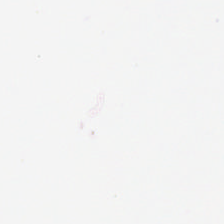20× equivalent magnification. Hematoxylin and eosin. This field is background (no tissue).
